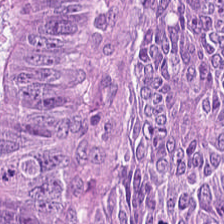Hematoxylin-and-eosin section: colorectal adenocarcinoma epithelium.
